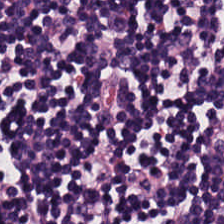H&E. Formalin-fixed paraffin-embedded section — Tissue class — lymphocytes.
